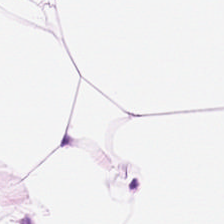Tissue type — adipocytes.
